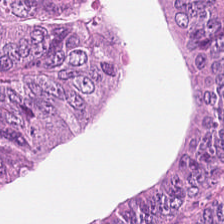224×224 pixel tile; H&E stain. Colorectal adenocarcinoma epithelium.
